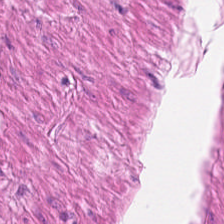0.5 µm/px; H&E-stained tissue section; WSI patch.
This patch shows smooth muscle.
